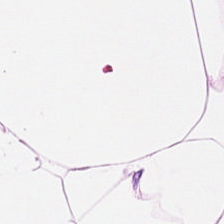Hematoxylin and eosin · brightfield · formalin-fixed paraffin-embedded section.
Adipose tissue.
